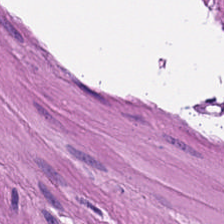Hematoxylin-and-eosin stained section; 0.5 microns per pixel. This patch shows smooth-muscle tissue.
